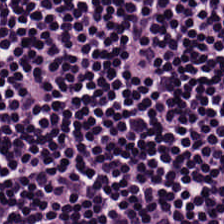H&E. Tissue class — lymphoid infiltrate.
